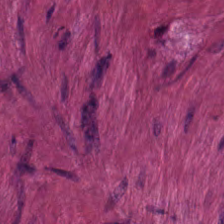H&E.
{"tissue_type": "muscularis"}
